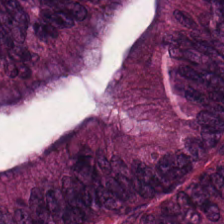H&E — Tissue type — adenocarcinoma.
